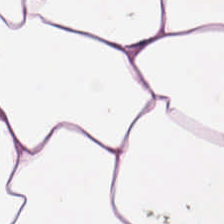Q: What does this patch show?
A: It is adipose tissue.
